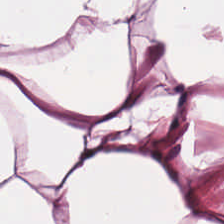Tissue class — fat tissue.
